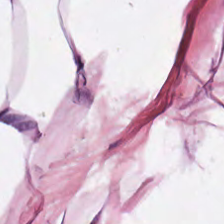0.5 µm per pixel · H&E-stained tissue section.
Tissue type — fat tissue.
